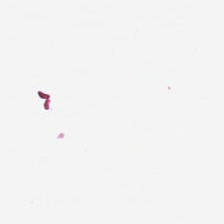Background — no tissue in this field.
